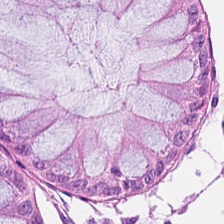Hematoxylin-and-eosin stained section. This patch shows benign colonic mucosa.
